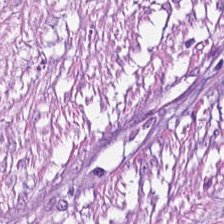The predominant tissue is desmoplastic stroma.
